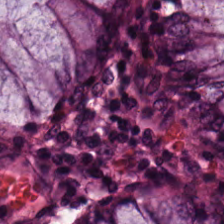Hematoxylin and eosin. Showing normal colon mucosa.
